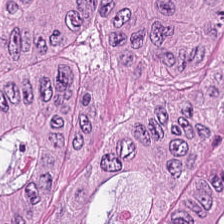H&E-stained section; the field shows adenocarcinoma.
